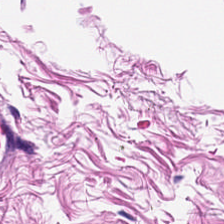Smooth muscle.
